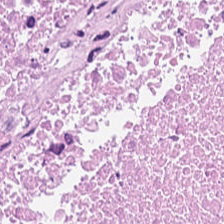H&E-stained tissue section.
Predominant tissue = cellular debris.
